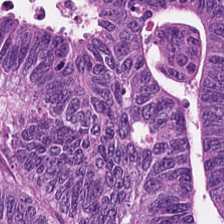H&E.
The tissue is adenocarcinoma.
